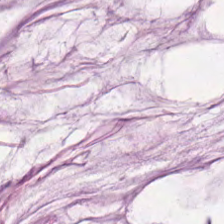Predominant tissue — mucin.
